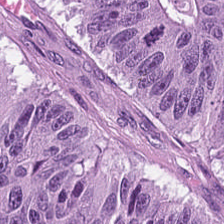Brightfield microscopy. Hematoxylin and eosin.
Tumor epithelium.
